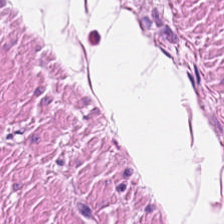Q: Classify this patch.
A: Muscularis.
